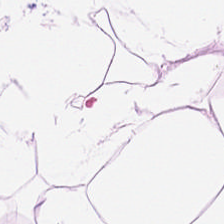Showing adipocytes.
